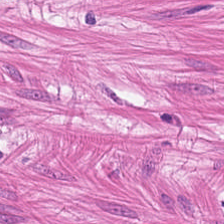H&E. Impression — smooth-muscle tissue.
